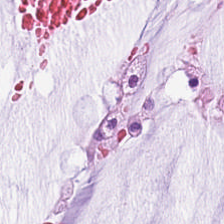H&E stain — Predominant tissue = extracellular mucin.
